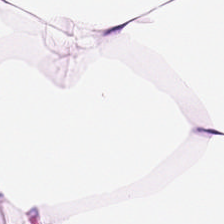H&E stain. Brightfield microscopy. Q: What does this patch show?
A: Adipose.
